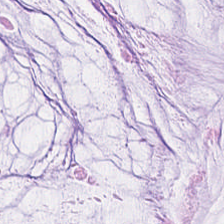H&E stain. Q: What does this patch show?
A: This is mucin.
